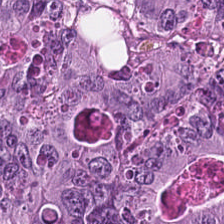H&E-stained tissue section; 0.5 microns per pixel — Tissue class — malignant epithelium.
